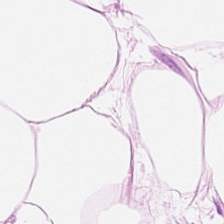Stain: H&E-stained tissue section.
Tissue: adipose.
